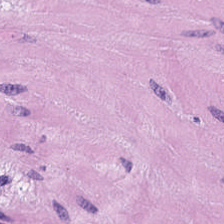Hematoxylin and eosin. This patch shows smooth-muscle tissue.
